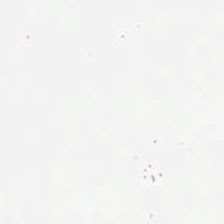H&E-stained tissue section.
Classification = background.
